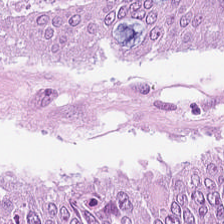Hematoxylin-and-eosin stained section.
Predominantly adenocarcinoma.
